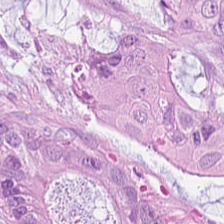Hematoxylin-and-eosin stained section. This field is colorectal adenocarcinoma epithelium.
